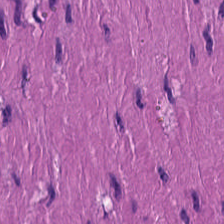H&E-stained tissue section. Whole-slide-image patch. 20× equivalent magnification.
{"tissue_type": "smooth muscle"}
